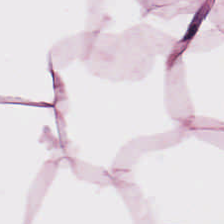H&E stain. 224×224 pixel tile.
The tissue class is fat tissue.
